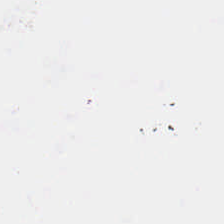{"content": "no tissue"}
